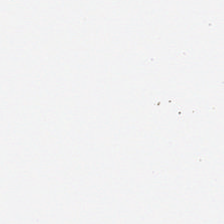H&E-stained tissue section; FFPE tissue section.
This field is background (no tissue).
